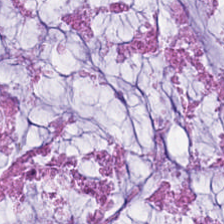Hematoxylin-and-eosin stained section. Tissue type: mucus.
